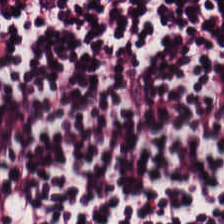H&E; formalin-fixed paraffin-embedded section; brightfield.
The predominant tissue is lymphocytes.
